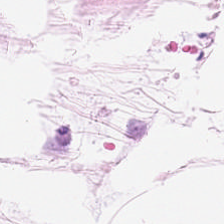0.5 microns per pixel · formalin-fixed paraffin-embedded section · hematoxylin-and-eosin stained section.
The predominant tissue is adipose.
